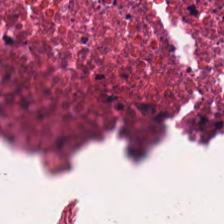Hematoxylin and eosin. Histology — debris.
